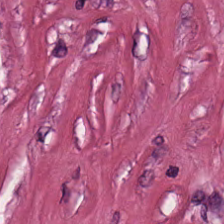Formalin-fixed paraffin-embedded section; H&E.
This field is cancer-associated stroma.
